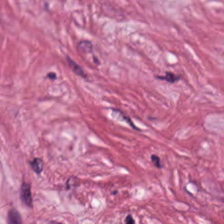224×224 px patch · H&E-stained tissue section · 0.5 µm per pixel. Classification — tumor-associated stroma.
